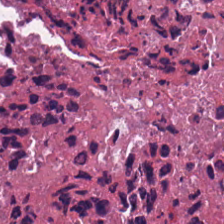H&E stain. Q: What is shown here?
A: This is necrotic debris.
